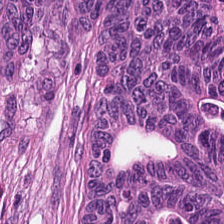Hematoxylin and eosin. The predominant tissue is colorectal adenocarcinoma epithelium.
